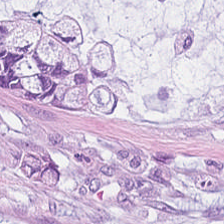Hematoxylin and eosin — Predominant tissue = mucus.
